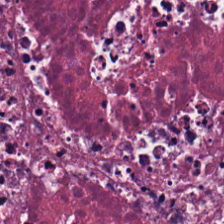Q: Identify the tissue.
A: The field shows necrotic debris.
